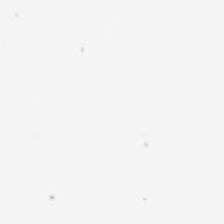Hematoxylin-and-eosin stained section · 224×224 px patch · whole-slide-image patch.
This patch shows no tissue.
